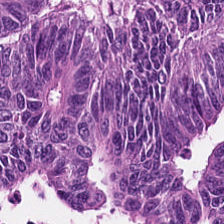Hematoxylin and eosin; brightfield microscopy — This field is colorectal adenocarcinoma.
